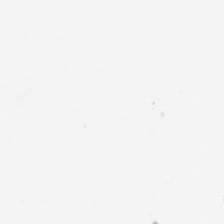Empty field — background (no tissue).
